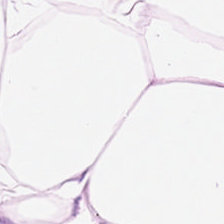H&E.
Impression — adipose tissue.
